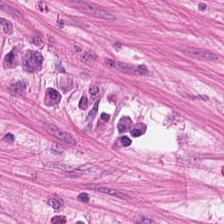H&E — Q: What does this patch show?
A: This is smooth muscle.
